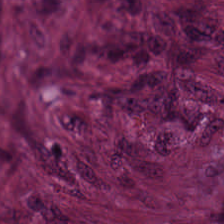H&E-stained tissue section.
This field is tumor stroma.
